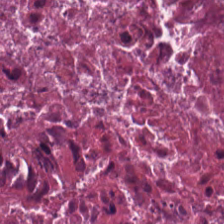Tissue type — cellular debris.
